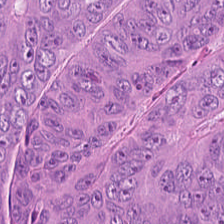Q: What type of tissue is this?
A: It is colorectal adenocarcinoma epithelium.
